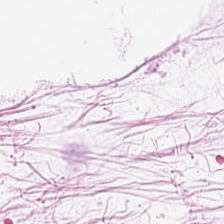H&E. This field is adipose.
